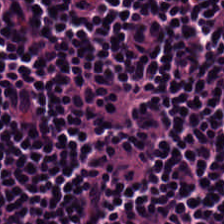Brightfield microscopy. H&E.
Lymphoid infiltrate.
